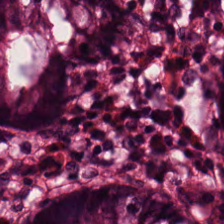H&E stain; 20× equivalent magnification; whole-slide-image patch. Predominantly normal colon mucosa.
